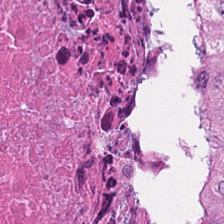H&E stain · 224×224 pixel tile — {"tissue_type": "debris"}
